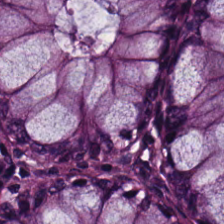This field is normal colonic mucosa.
